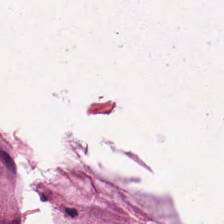H&E.
Tissue: mucin.
